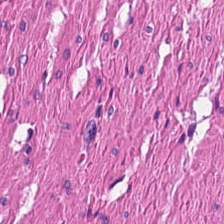H&E — smooth-muscle tissue.
